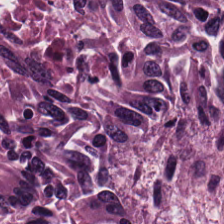H&E stain · formalin-fixed paraffin-embedded section.
Tissue class: malignant epithelium.
